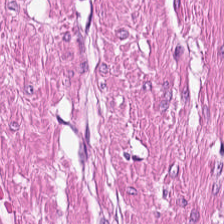Stain: hematoxylin-and-eosin stained section.
Predominant tissue: smooth-muscle tissue.
